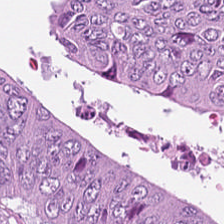224×224 pixel tile. Hematoxylin and eosin — Tissue type: colorectal adenocarcinoma.
